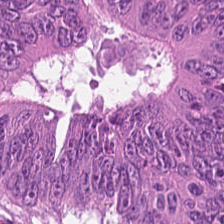Brightfield; H&E-stained tissue section — The tissue type is colorectal adenocarcinoma epithelium.
